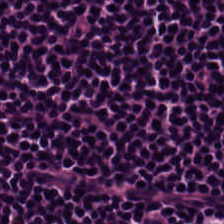0.5 µm/px; hematoxylin and eosin.
This field is lymphoid infiltrate.
